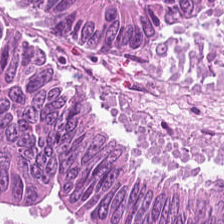H&E-stained tissue section. This patch shows colorectal adenocarcinoma.
